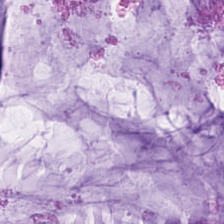H&E-stained tissue section showing extracellular mucin.
